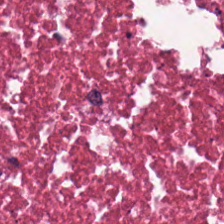Brightfield; hematoxylin-and-eosin stained section; formalin-fixed paraffin-embedded section.
Showing necrotic debris.
